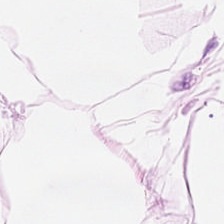H&E.
Q: Classify this patch.
A: It is fat tissue.
